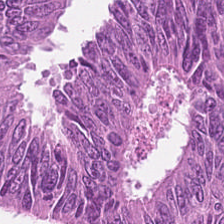H&E stain. Brightfield. Finding — tumor epithelium.
